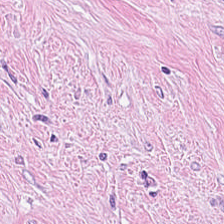Tumor stroma.
